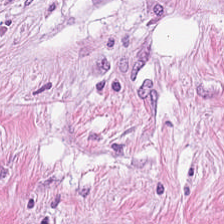The predominant tissue is cancer-associated stroma.
